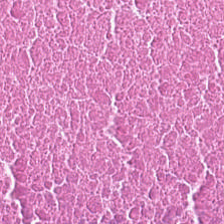H&E — cellular debris.
